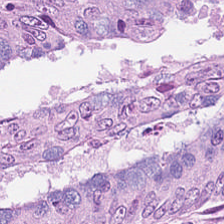This field is adenocarcinoma.
